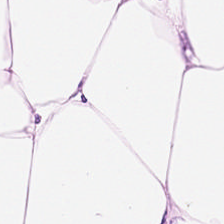H&E.
Q: What tissue type is shown here?
A: The field shows adipocytes.
